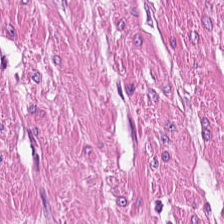Hematoxylin and eosin.
Tissue class — smooth muscle.
